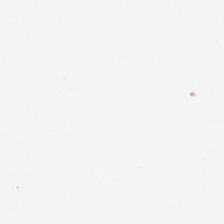20× equivalent magnification; H&E stain. No tissue.
